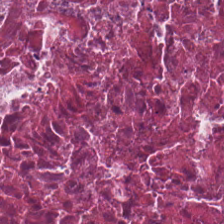Brightfield; 224×224 pixel tile; H&E stain — Cellular debris.
